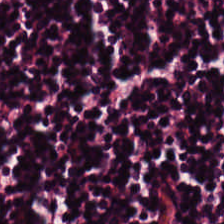Stain: H&E.
Tissue class: lymphoid infiltrate.
